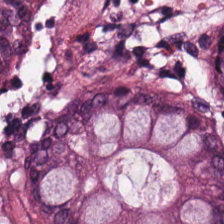H&E. {"tissue_type": "normal colon mucosa"}
